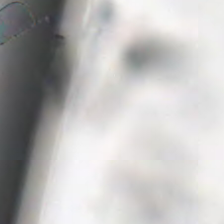224×224 pixel tile; FFPE tissue section; H&E stain — No tissue present; background only.
